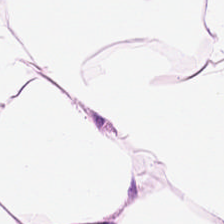Impression — adipose.
